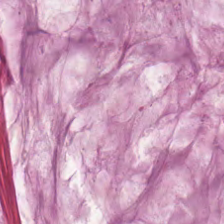0.5 µm/px; hematoxylin-and-eosin stained section.
This field is extracellular mucin.
